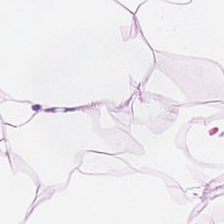0.5 microns per pixel · 224×224 px tile · H&E stain — Tissue class — adipose tissue.
